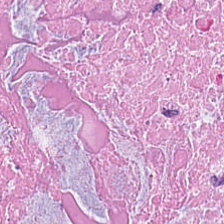Impression → necrotic debris.
